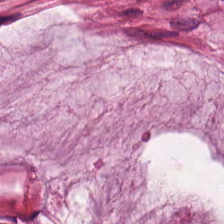0.5 µm per pixel; hematoxylin-and-eosin stained section; FFPE tissue section.
This field is extracellular mucin.
